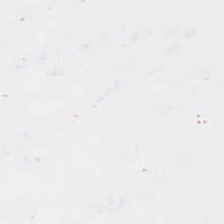Hematoxylin and eosin. Brightfield microscopy. FFPE tissue section — Field content — background.
